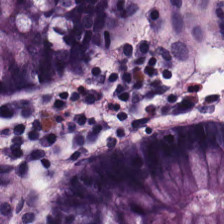Normal colon mucosa.
